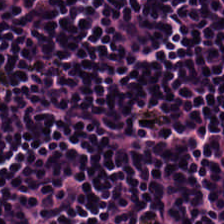Showing lymphoid infiltrate.
